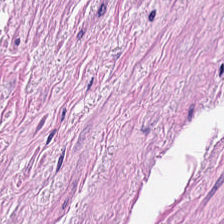Hematoxylin and eosin. Impression — smooth muscle.
